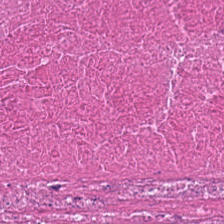Hematoxylin-and-eosin stained section; 20× equivalent magnification — The predominant tissue is cellular debris.
